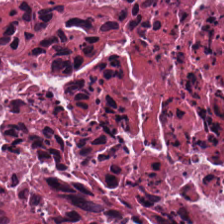Formalin-fixed paraffin-embedded section. 0.5 µm/px. H&E-stained tissue section — Q: Classify this patch.
A: It is debris.
